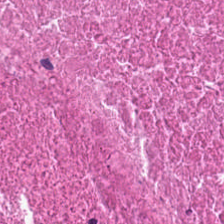H&E. 224×224 px tile.
Q: What is the predominant tissue type?
A: Cellular debris.
